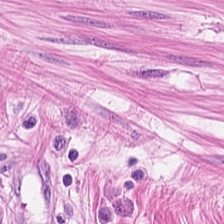224×224 px patch · H&E stain · FFPE.
The tissue here is smooth muscle.
